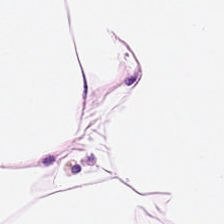H&E stain. Adipose.
